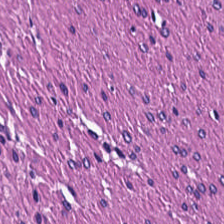FFPE tissue section; hematoxylin and eosin — Showing smooth-muscle tissue.
